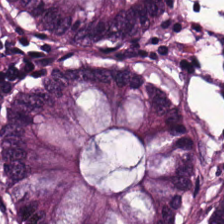Formalin-fixed paraffin-embedded section · brightfield · hematoxylin and eosin — Predominant tissue = normal colon mucosa.
